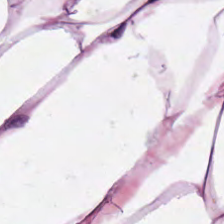H&E-stained tissue section — Finding — adipose tissue.
